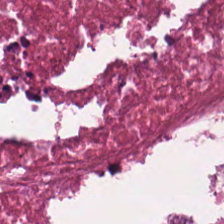FFPE tissue section; hematoxylin and eosin.
Q: What tissue type is shown here?
A: It is necrotic debris.
